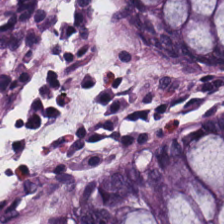Stain: H&E.
Tissue: non-neoplastic colon mucosa.
